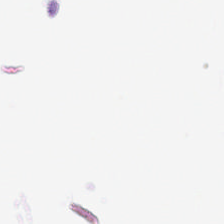Whole-slide-image patch. H&E-stained tissue section. 224×224 pixel tile — Empty field — empty background.
